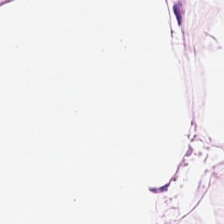Hematoxylin-and-eosin stained section — Impression — adipose.
